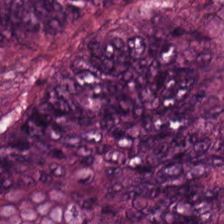20× equivalent magnification · hematoxylin and eosin · 224×224 px patch.
The tissue here is mucin.
